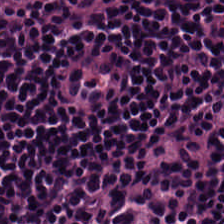FFPE tissue section; hematoxylin-and-eosin stained section. Impression — lymphoid infiltrate.
